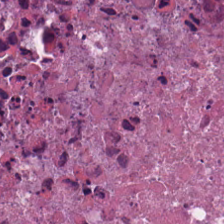H&E stain; FFPE tissue section.
{"tissue_type": "necrotic debris"}
